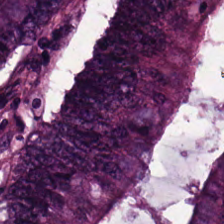Hematoxylin-and-eosin stained section.
The tissue here is adenocarcinoma.
